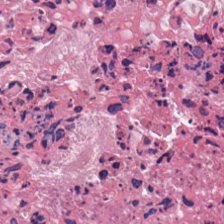This field is debris.
